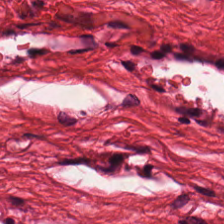Hematoxylin and eosin.
This patch shows smooth-muscle tissue.
